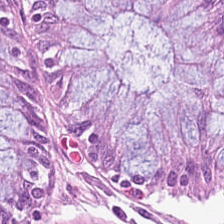Stain: hematoxylin-and-eosin stained section.
Acquisition: whole-slide-image patch.
Predominant tissue: benign colonic mucosa.
